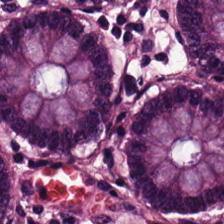Hematoxylin-and-eosin stained section. The tissue here is non-neoplastic colon mucosa.
